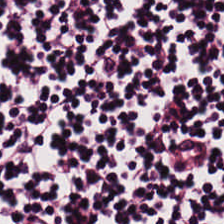Predominantly lymphoid infiltrate.
